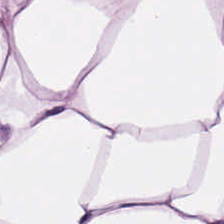Tissue — fat tissue.
